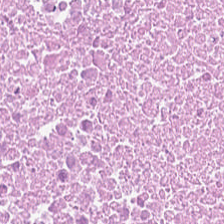FFPE tissue section · H&E · 0.5 microns per pixel — Showing cellular debris.
